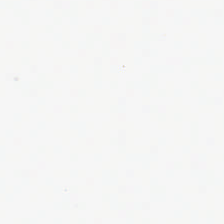Stain: H&E.
Resolution: 0.5 µm/px.
Content: no tissue.
